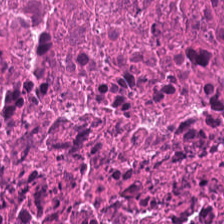Q: What does this patch show?
A: This is debris.
